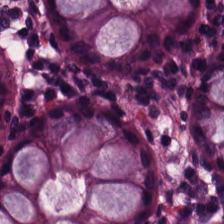0.5 µm/px. H&E-stained tissue section. 224×224 px patch.
Tissue type = normal colon mucosa.
